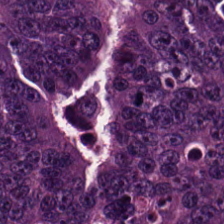{"tissue_type": "tumor epithelium"}
